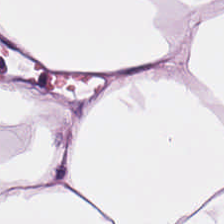H&E-stained tissue section · FFPE tissue section.
{"tissue_type": "adipose"}
